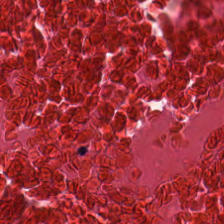H&E-stained tissue section. Q: What is shown in this field?
A: This is necrotic debris.
